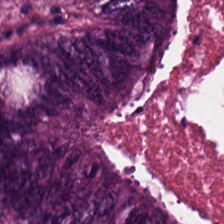20× equivalent magnification · hematoxylin-and-eosin stained section — Classification — colorectal adenocarcinoma.
